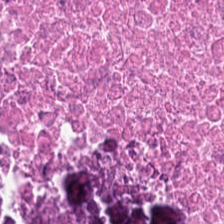Stain: H&E stain.
Resolution: 20× equivalent magnification.
Tissue class: necrotic debris.
